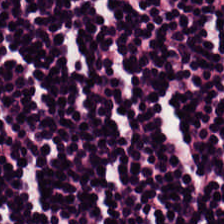H&E-stained tissue section. This field is lymphoid infiltrate.
